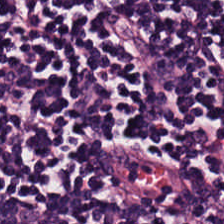224×224 px tile · hematoxylin-and-eosin stained section — {"tissue_type": "lymphocytic infiltrate"}
